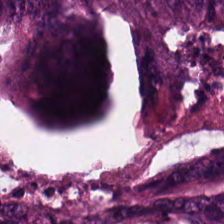224×224 px patch · H&E stain · 0.5 µm/px — Tissue = colorectal adenocarcinoma.
